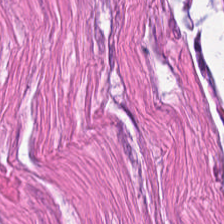224×224 px tile. H&E — Classification — smooth-muscle tissue.
